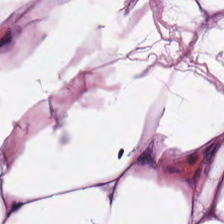FFPE · H&E stain · 0.5 µm/px — Predominantly fat tissue.
